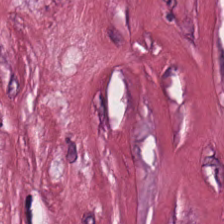H&E-stained tissue section.
Classification = cancer-associated stroma.
